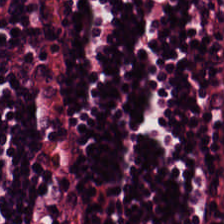Impression → lymphoid infiltrate.
